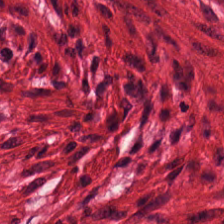This patch shows muscularis.
